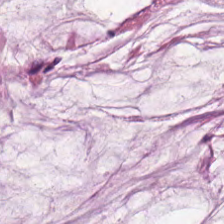H&E-stained tissue section. Showing extracellular mucin.
